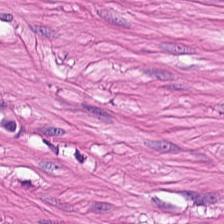H&E patch showing smooth-muscle tissue.
